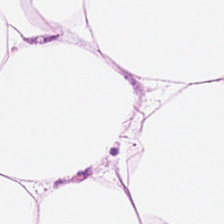Brightfield microscopy. H&E-stained tissue section.
{"tissue_type": "adipose tissue"}
